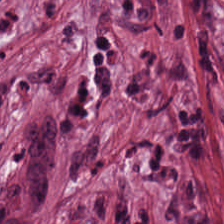Hematoxylin and eosin · brightfield microscopy · 20× equivalent magnification.
Q: What tissue is shown?
A: This is cancer-associated stroma.
